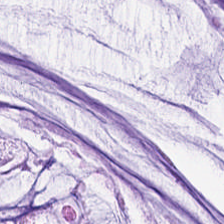0.5 microns per pixel. Brightfield. H&E — Q: What tissue is shown?
A: The field shows mucin.
